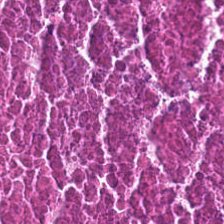H&E stain — Tissue type — debris.
